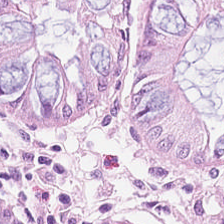Hematoxylin-and-eosin stained section.
Finding — non-neoplastic colon mucosa.
